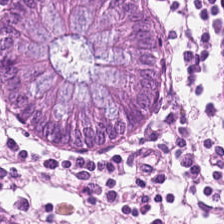WSI patch; H&E-stained tissue section — Predominant tissue — normal colonic mucosa.
